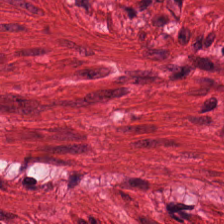Q: Identify the tissue.
A: Smooth muscle.
